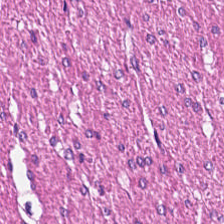Hematoxylin and eosin.
This field is smooth-muscle tissue.
